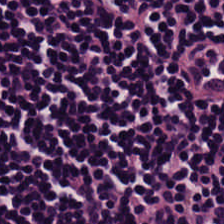Showing lymphocytic infiltrate.
